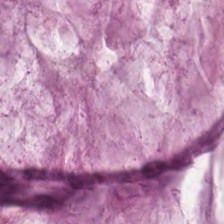Stain: H&E stain.
Predominant tissue: mucin.
